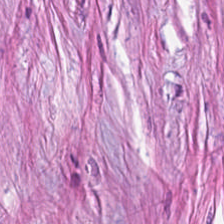Hematoxylin-and-eosin stained section.
Tissue class = tumor stroma.
